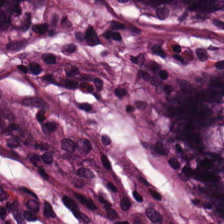H&E — {"tissue_type": "non-neoplastic colon mucosa"}
